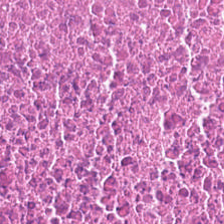Q: Identify the tissue.
A: It is debris.
